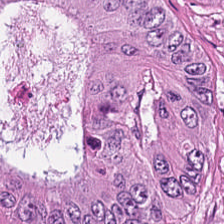Hematoxylin and eosin. FFPE tissue section — This patch shows colorectal adenocarcinoma.
